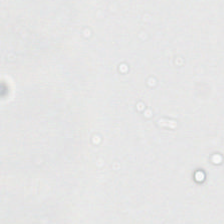224×224 px patch · whole-slide-image patch · hematoxylin-and-eosin stained section.
Background — no tissue in this field.
